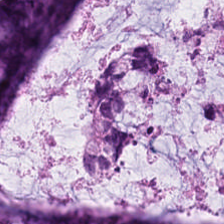H&E stain. Histology → mucin.
